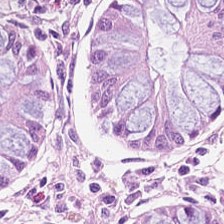H&E · WSI patch. This field is normal colonic mucosa.
